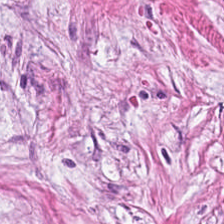H&E.
The tissue here is desmoplastic stroma.
